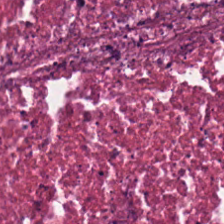Debris.
